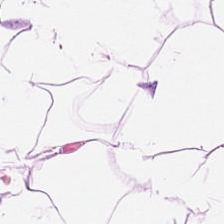Stain: hematoxylin and eosin.
Tissue type: adipose tissue.
